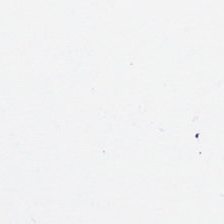H&E-stained tissue section. 0.5 µm per pixel. 224×224 px patch.
Empty field — no tissue.
